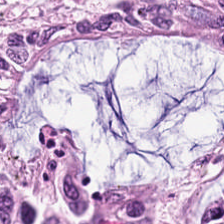H&E. Tissue class: tumor epithelium.
